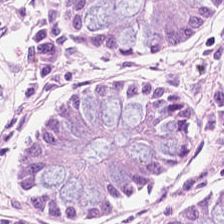H&E stain.
Q: What type of tissue is this?
A: Non-neoplastic colon mucosa.
